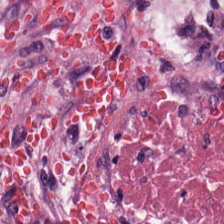Hematoxylin and eosin.
Predominant tissue — necrotic debris.
